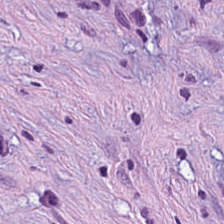Hematoxylin-and-eosin stained section — Q: Classify this patch.
A: The field shows desmoplastic stroma.
